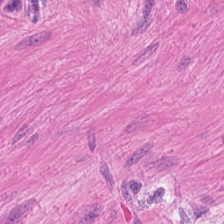Stain: H&E stain.
Predominant tissue: smooth muscle.
